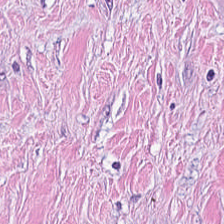Hematoxylin-and-eosin stained section; 224×224 px tile.
Tumor stroma.
